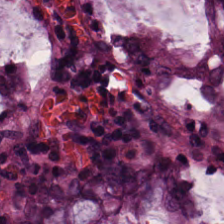H&E stain. {"tissue_type": "non-neoplastic colon mucosa"}
